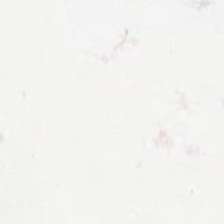Stain: hematoxylin and eosin.
Content: empty background.
